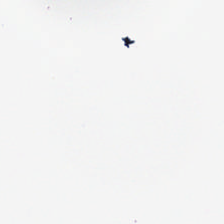This field is background (no tissue).
